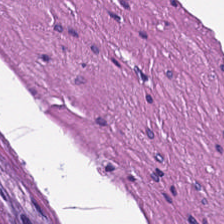0.5 microns per pixel. FFPE. H&E.
Smooth muscle.
